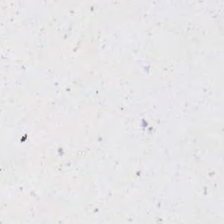Hematoxylin and eosin. No tissue present; background only.
